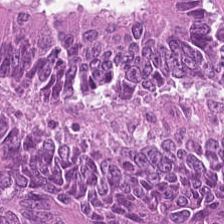H&E-stained tissue section — Impression — colorectal adenocarcinoma.
